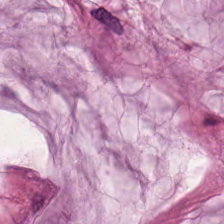Hematoxylin-and-eosin stained section. 224×224 px patch — Mucin.
